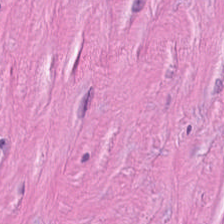H&E stain.
The tissue class is tumor-associated stroma.
